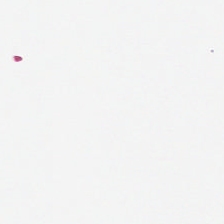H&E stain.
This patch shows background (no tissue).
